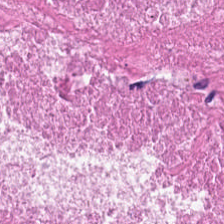Hematoxylin and eosin. 224×224 px patch. 0.5 microns per pixel. Q: What is shown here?
A: The field shows cellular debris.
